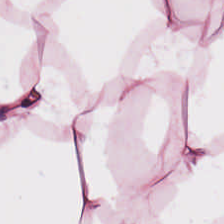H&E · FFPE.
{"tissue_type": "adipose"}
